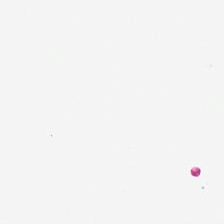This patch shows background (no tissue).
